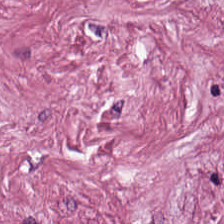H&E. Predominant tissue = tumor stroma.
